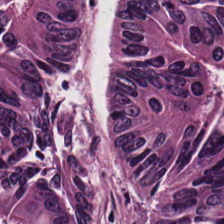H&E — The tissue is colorectal adenocarcinoma.
